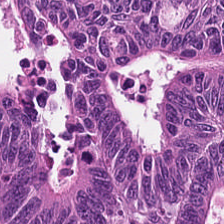H&E-stained tissue section. Impression → tumor epithelium.
